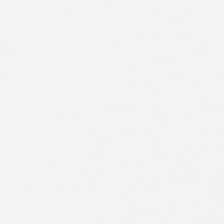Content = background.
